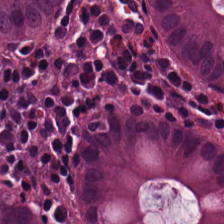H&E-stained tissue section.
Q: Classify this patch.
A: This is normal colon mucosa.
